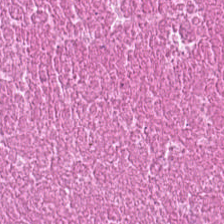Brightfield. H&E. 0.5 µm/px. The tissue class is cellular debris.
